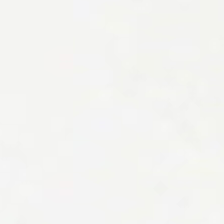The field content is background (no tissue).
